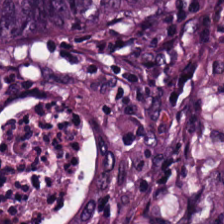Stain: H&E.
Tissue: malignant epithelium.
